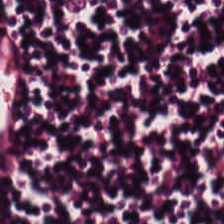Hematoxylin-and-eosin stained section — Histology — lymphocyte aggregate.
